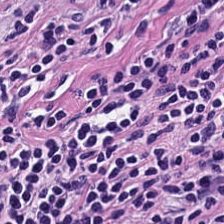224×224 pixel tile; H&E-stained tissue section.
Lymphocytic infiltrate.
